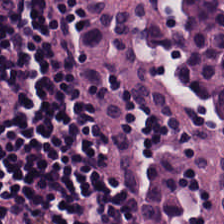Predominantly lymphocyte aggregate.
